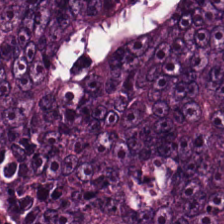H&E. {"tissue_type": "adenocarcinoma"}
